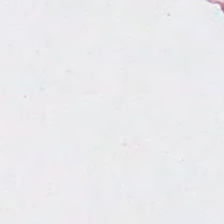No tissue present; background only.
